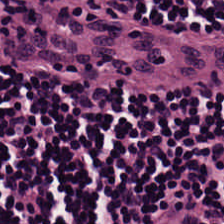Hematoxylin and eosin. Predominant tissue: lymphocyte aggregate.
